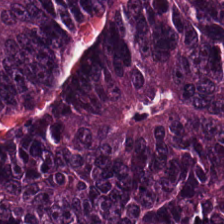H&E-stained tissue section. Brightfield microscopy. 224×224 pixel tile — {"tissue_type": "malignant epithelium"}
